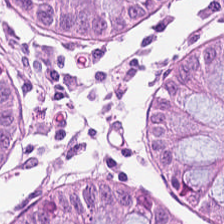H&E; FFPE — The predominant tissue is benign colonic mucosa.
